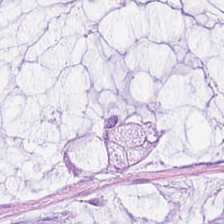FFPE tissue section; 224×224 pixel tile; H&E-stained tissue section.
This patch shows mucus.
